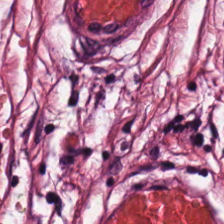Hematoxylin-and-eosin stained section.
This field is tumor-associated stroma.
